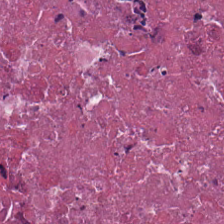Stain: hematoxylin-and-eosin stained section.
Preparation: FFPE tissue section.
Acquisition: brightfield microscopy.
Tissue: necrotic debris.
